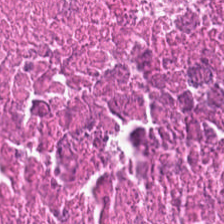H&E stain. Q: What is shown in this field?
A: Cellular debris.
